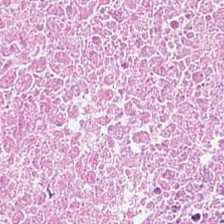H&E-stained tissue section — Q: What is the predominant tissue type?
A: It is necrotic debris.
